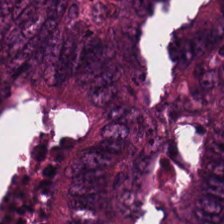The predominant tissue is malignant epithelium.
